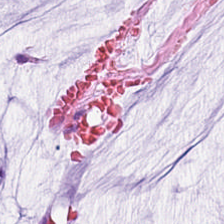Stain: H&E stain.
Tissue: extracellular mucin.
